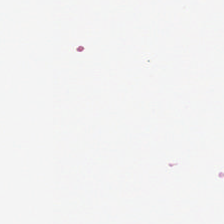Stain: H&E-stained tissue section.
Content: empty background.
